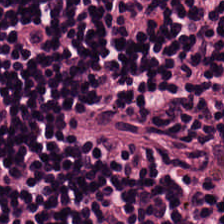Hematoxylin-and-eosin stained section. FFPE.
Classification — lymphocytic infiltrate.
